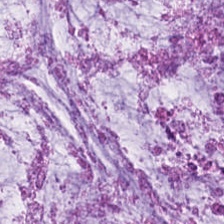Stain: hematoxylin-and-eosin stained section.
Tissue class: mucus.
